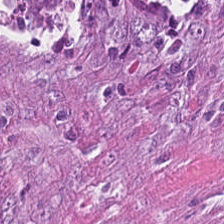Stain: H&E.
Preparation: FFPE.
Tissue class: tumor epithelium.
